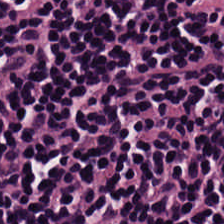H&E-stained tissue section — The tissue type is lymphocytic infiltrate.
